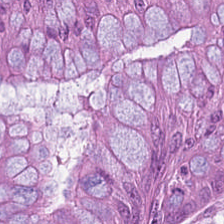H&E. Q: What tissue type is shown here?
A: This is adenocarcinoma.
